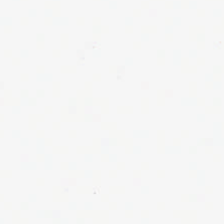No tissue present; background only.
